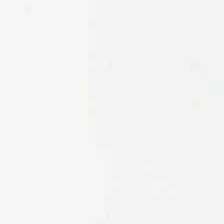Content — no tissue.
